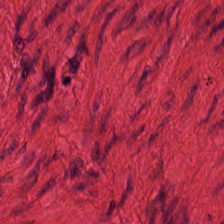H&E-stained tissue section showing smooth muscle.
